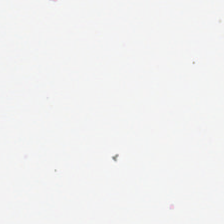WSI patch; H&E-stained tissue section. Classification = empty background.
